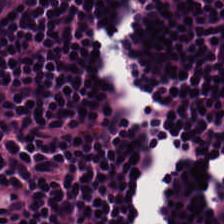0.5 µm per pixel · H&E-stained tissue section.
Predominantly lymphoid infiltrate.
